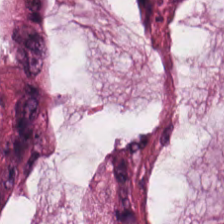Hematoxylin-and-eosin section: mucus.
